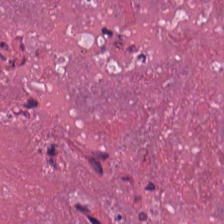H&E-stained tissue section showing debris.
